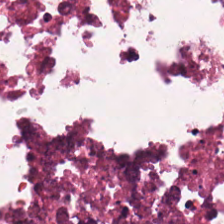H&E stain · 0.5 µm/px · brightfield.
Showing necrotic debris.
